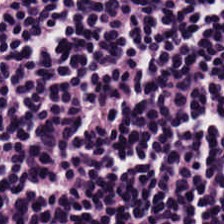Hematoxylin and eosin. The tissue is lymphoid infiltrate.
